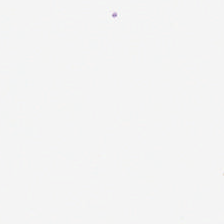H&E-stained tissue section — Histology → empty background.
